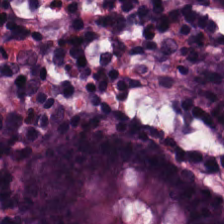H&E-stained tissue section.
Q: What is the predominant tissue type?
A: The field shows normal colonic mucosa.
